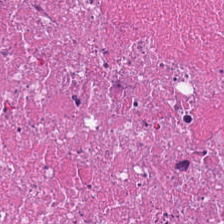Necrotic debris.
